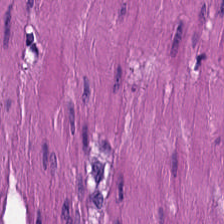Hematoxylin and eosin — Tissue type = muscularis.
